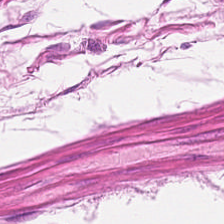Stain: hematoxylin and eosin.
Predominant tissue: muscularis.
